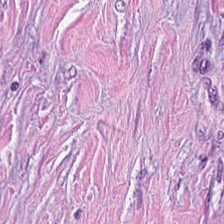Hematoxylin-and-eosin stained section. This patch shows desmoplastic stroma.
